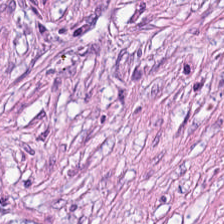Hematoxylin and eosin.
Tissue class = tumor stroma.
